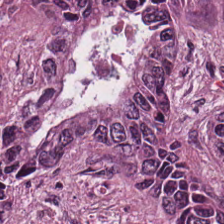H&E stain — Tissue class — adenocarcinoma.
